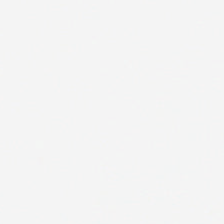Brightfield microscopy · hematoxylin-and-eosin stained section · FFPE tissue section — Content — empty background.
